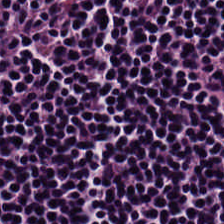Hematoxylin-and-eosin stained section · 0.5 microns per pixel · FFPE tissue section.
This field is lymphocytes.
